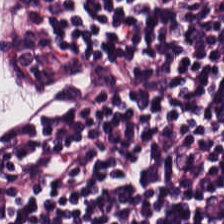Stain: H&E-stained tissue section.
Tile size: 224×224 pixel tile.
Tissue type: lymphocyte aggregate.
